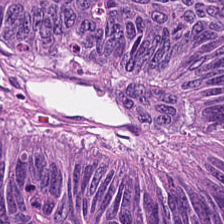Finding — colorectal adenocarcinoma.
